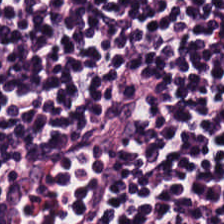224×224 px tile. H&E-stained tissue section — The predominant tissue is lymphocytic infiltrate.
